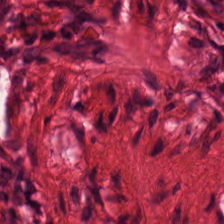Hematoxylin-and-eosin stained section · FFPE — The tissue here is smooth muscle.
